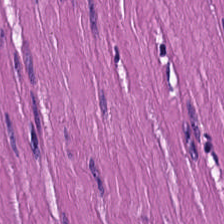Formalin-fixed paraffin-embedded section. Hematoxylin-and-eosin stained section — The tissue is smooth muscle.
